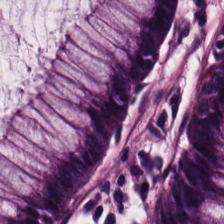Tissue class: normal colon mucosa.
